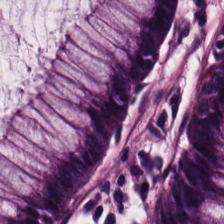Tissue class: normal colon mucosa.
